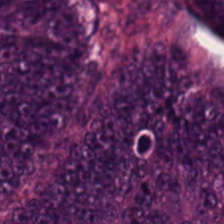Q: Identify the tissue.
A: The field shows colorectal adenocarcinoma epithelium.
